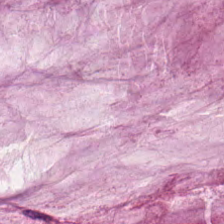Hematoxylin and eosin.
Tissue class = mucus.
